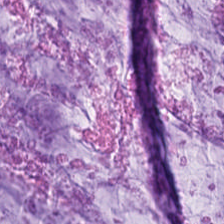224×224 pixel tile; hematoxylin and eosin. Finding → extracellular mucin.
